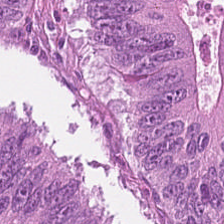H&E. The tissue class is malignant epithelium.
